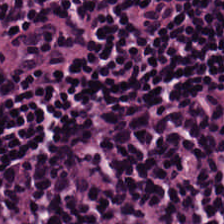H&E — lymphocytes.
